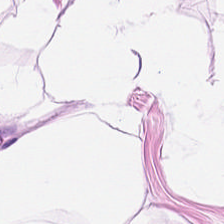Q: What is shown in this field?
A: The field shows adipose tissue.
